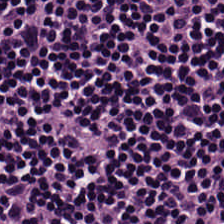H&E-stained tissue section. {"tissue_type": "lymphocytes"}
